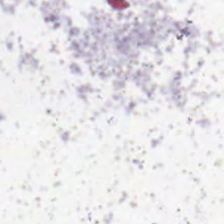Formalin-fixed paraffin-embedded section. Hematoxylin and eosin. Brightfield — No tissue present; background only.
